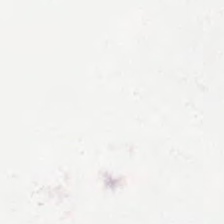Hematoxylin and eosin.
This field is background (no tissue).
